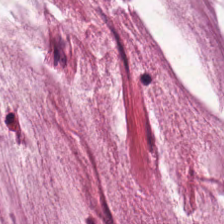H&E stain; 224×224 px tile.
Q: What is shown in this field?
A: Mucin.
